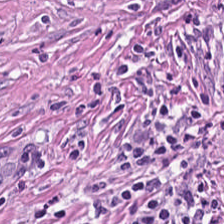FFPE; hematoxylin-and-eosin stained section. {"tissue_type": "desmoplastic stroma"}
